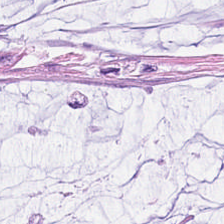H&E. Formalin-fixed paraffin-embedded section. Extracellular mucin.
